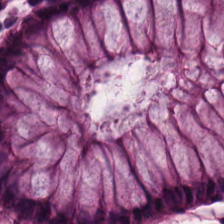0.5 microns per pixel. H&E-stained tissue section. Predominantly normal colon mucosa.
